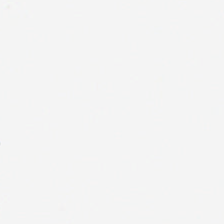H&E — Field content = background (no tissue).
